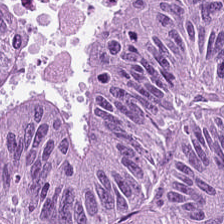Hematoxylin and eosin; 224×224 px tile — Adenocarcinoma.
